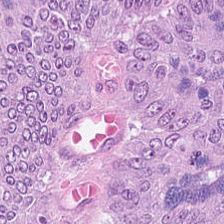Impression — colorectal adenocarcinoma epithelium.
